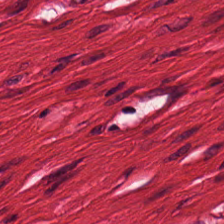Hematoxylin-and-eosin stained section; whole-slide-image patch.
This field is smooth-muscle tissue.
